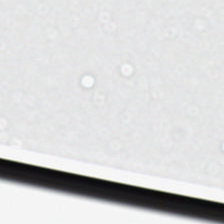H&E-stained tissue section — Q: What is shown in this field?
A: This is no tissue.
